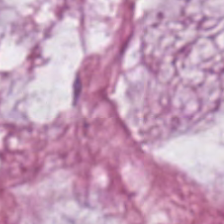Tissue class — mucin.
